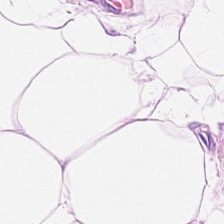H&E-stained tissue section · brightfield — The classification is adipose.
